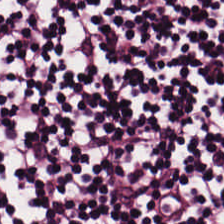Stain: hematoxylin and eosin.
Tissue type: lymphocytes.
